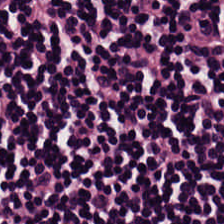Hematoxylin and eosin — Q: What is the predominant tissue type?
A: The field shows lymphocytic infiltrate.
